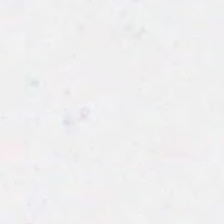Background — no tissue in this field.
